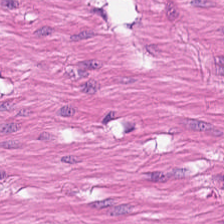0.5 µm per pixel · H&E-stained tissue section · FFPE.
This patch shows smooth-muscle tissue.
